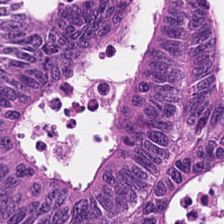H&E-stained tissue section — Tissue = colorectal adenocarcinoma epithelium.
